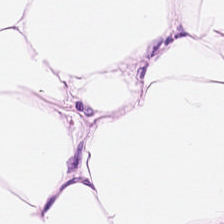H&E stain; FFPE tissue section; 224×224 px tile — Showing fat tissue.
